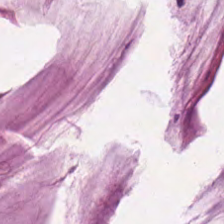224×224 px tile. H&E-stained tissue section — Showing extracellular mucin.
